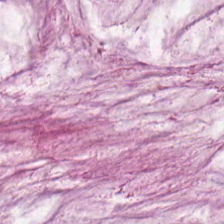H&E.
Mucus.
